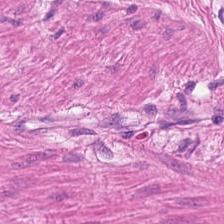Q: What tissue type is shown here?
A: It is smooth-muscle tissue.
